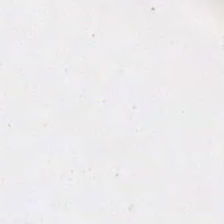FFPE; H&E. Q: What does this patch show?
A: It is background.
